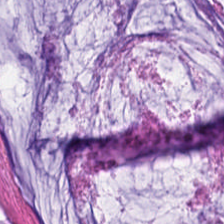Q: What is shown here?
A: This is extracellular mucin.
